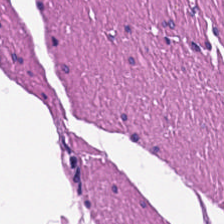H&E stain — Impression → muscularis.
